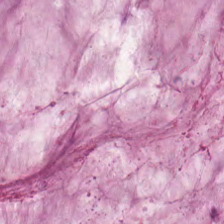H&E-stained tissue section; FFPE.
{"tissue_type": "mucin"}
